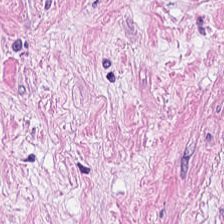224×224 px tile. H&E. FFPE tissue section. {"tissue_type": "cancer-associated stroma"}
